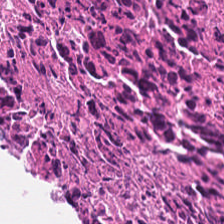Tissue — cellular debris.
